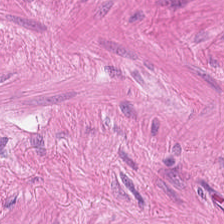Hematoxylin and eosin. Tissue class — smooth-muscle tissue.
